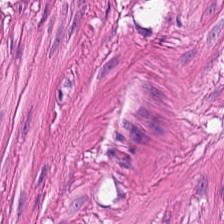Formalin-fixed paraffin-embedded section. Hematoxylin and eosin.
Histology → muscularis.
